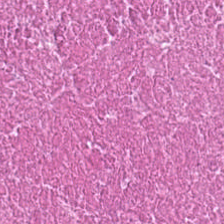Predominantly necrotic debris.
